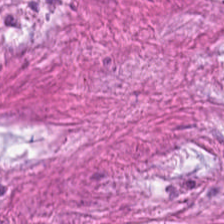Predominant tissue — tumor-associated stroma.
